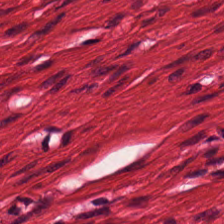H&E-stained tissue section; 0.5 microns per pixel. Smooth muscle.
